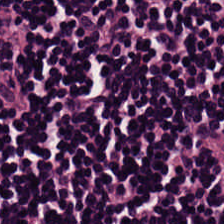Hematoxylin-and-eosin stained section.
The tissue here is lymphocyte aggregate.
